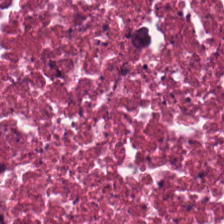Showing necrotic debris.
